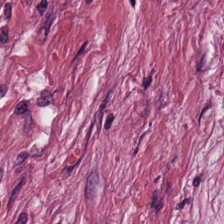0.5 microns per pixel · H&E-stained tissue section · FFPE tissue section. {"tissue_type": "tumor stroma"}
